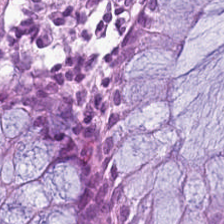H&E-stained tissue section.
Predominant tissue: normal colon mucosa.
